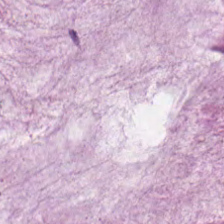Hematoxylin and eosin — Q: What type of tissue is this?
A: It is extracellular mucin.
